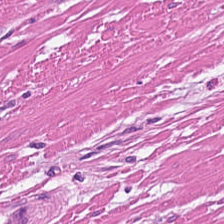H&E.
The tissue class is smooth muscle.
